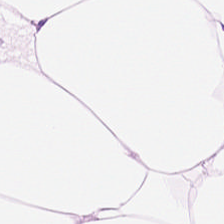H&E; WSI patch.
Predominantly fat tissue.
